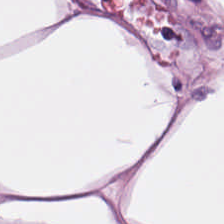Stain: hematoxylin-and-eosin stained section.
Resolution: 0.5 µm/px.
Preparation: FFPE tissue section.
Tissue type: adipose.
